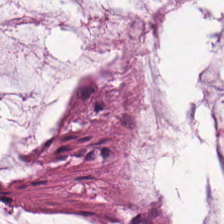Hematoxylin and eosin — Impression — mucus.
